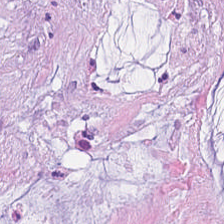Hematoxylin and eosin · FFPE · brightfield.
Mucin.
